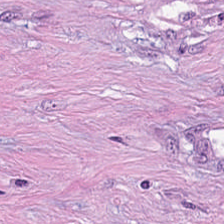Brightfield. Hematoxylin and eosin — Tissue: tumor stroma.
